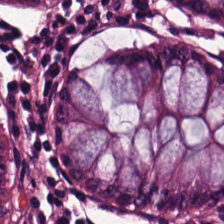Stain: hematoxylin-and-eosin stained section.
Classification: non-neoplastic colon mucosa.
